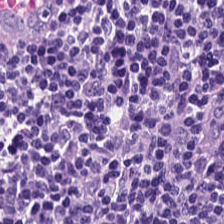Hematoxylin-and-eosin stained section — Q: What is the predominant tissue type?
A: It is lymphocytes.
